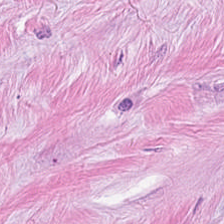Hematoxylin and eosin; brightfield — Cancer-associated stroma.
